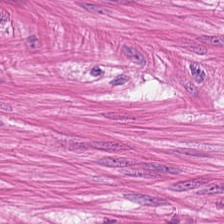Hematoxylin-and-eosin stained section. {"tissue_type": "muscularis"}
